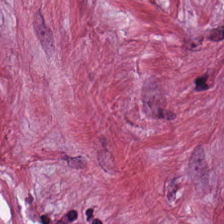FFPE tissue section. 224×224 px patch. H&E-stained tissue section — The tissue is cancer-associated stroma.
